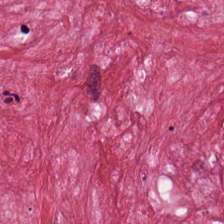The tissue class is tumor-associated stroma.
